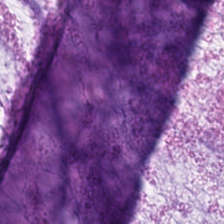H&E. FFPE.
Q: What type of tissue is this?
A: The field shows mucus.
